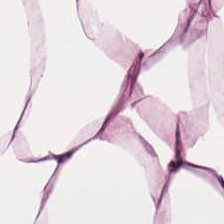H&E-stained tissue section.
Adipose.
